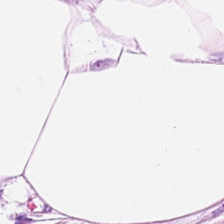224×224 px patch. H&E stain. FFPE.
Impression — adipose tissue.
